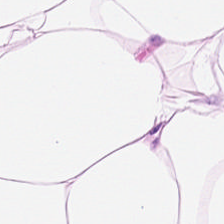Hematoxylin-and-eosin stained section · 0.5 µm per pixel · brightfield microscopy. Predominantly adipocytes.
